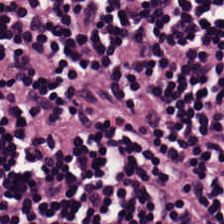H&E. 0.5 microns per pixel. Predominantly lymphocyte aggregate.
